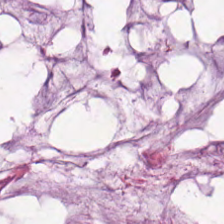Q: What is shown in this field?
A: It is mucin.
